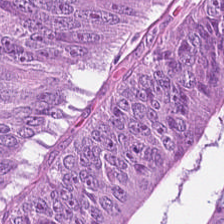H&E — {"tissue_type": "colorectal adenocarcinoma epithelium"}
